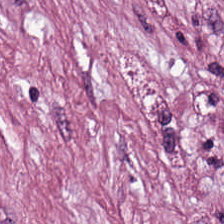H&E stain; formalin-fixed paraffin-embedded section — Q: What is the predominant tissue type?
A: Tumor-associated stroma.
